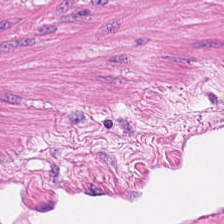Hematoxylin-and-eosin stained section. Smooth muscle.
